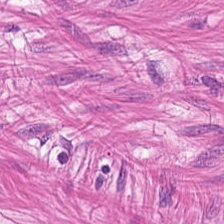Tissue type = muscularis.
